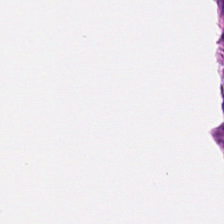0.5 microns per pixel · H&E stain — Tissue class — muscularis.
